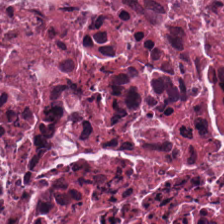Classification = necrotic debris.
